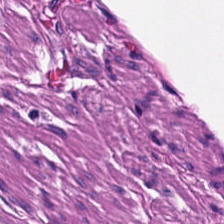Hematoxylin and eosin; 224×224 pixel tile. Q: What is shown in this field?
A: Muscularis.
